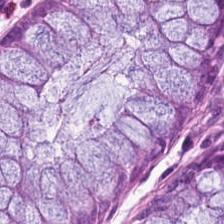Tissue type — non-neoplastic colon mucosa.
